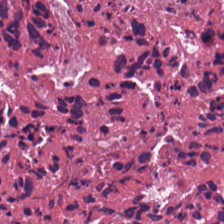Hematoxylin and eosin — Impression — debris.
